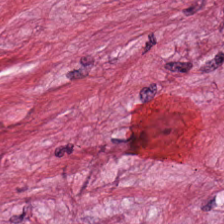Stain: H&E-stained tissue section.
Resolution: 20× equivalent magnification.
Predominant tissue: desmoplastic stroma.
